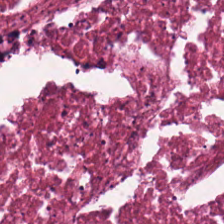H&E; 224×224 px patch; FFPE — Histology → debris.
